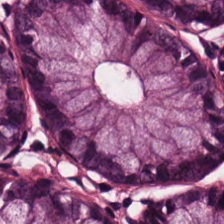Stain: H&E.
Preparation: FFPE.
Tissue: non-neoplastic colon mucosa.
